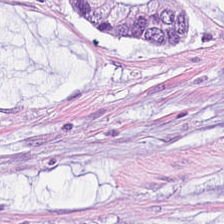Hematoxylin and eosin. Q: Classify this patch.
A: It is extracellular mucin.
